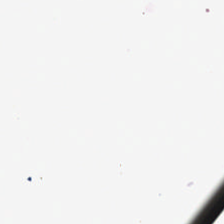Field content = background (no tissue).
